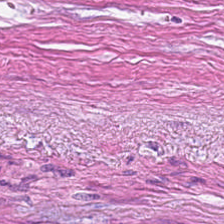Stain: hematoxylin-and-eosin stained section.
Tissue type: cancer-associated stroma.
